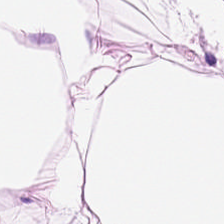H&E-stained tissue section. This field is fat tissue.
